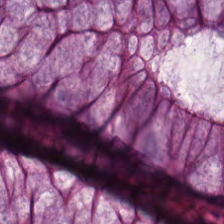Tissue class: non-neoplastic colon mucosa.
